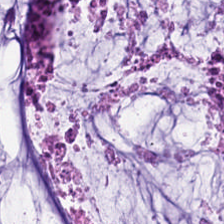H&E stain — This field is mucin.
